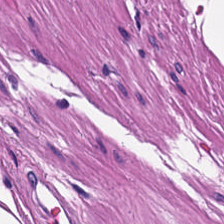H&E stain — The tissue is muscularis.
